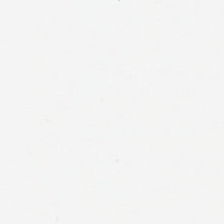Hematoxylin and eosin · FFPE tissue section · 224×224 px tile.
Background.
